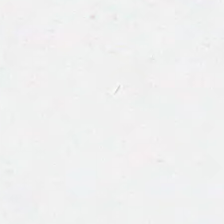Hematoxylin and eosin.
This patch shows background.
